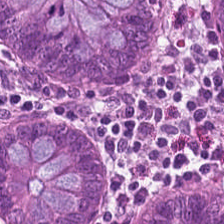Hematoxylin-and-eosin stained section; FFPE tissue section; whole-slide-image patch — The tissue here is normal colonic mucosa.
